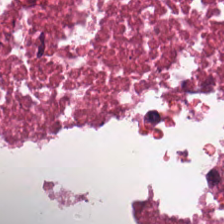H&E stain · 224×224 px patch. The predominant tissue is debris.
